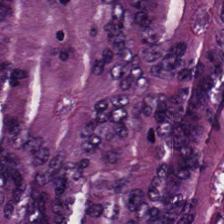H&E stain.
Adenocarcinoma.
